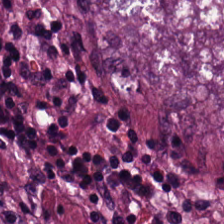H&E. WSI patch — The tissue here is tumor epithelium.
